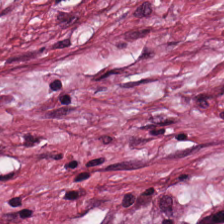H&E stain; formalin-fixed paraffin-embedded section; WSI patch — Predominant tissue = tumor-associated stroma.
